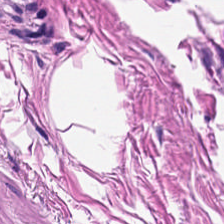224×224 px patch · H&E-stained tissue section · 0.5 microns per pixel. Showing smooth muscle.
